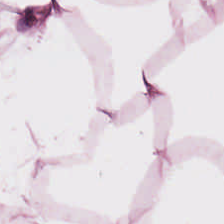H&E stain; 20× equivalent magnification. {"tissue_type": "adipose"}
